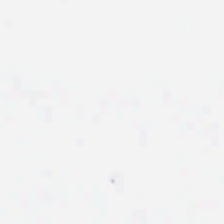Q: What is shown here?
A: The field shows background (no tissue).
